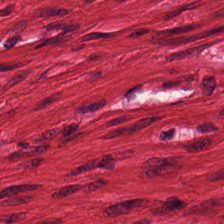H&E stain. 20× equivalent magnification — Q: What does this patch show?
A: This is smooth-muscle tissue.
